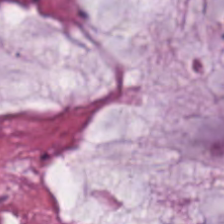Hematoxylin-and-eosin stained section. The classification is mucus.
